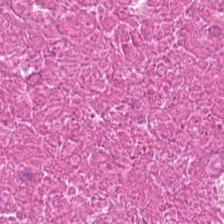H&E stain. The classification is cellular debris.
